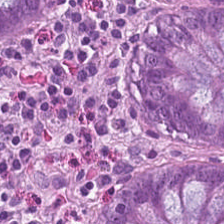H&E-stained tissue section. 20× equivalent magnification.
This patch shows non-neoplastic colon mucosa.
